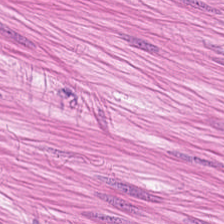H&E stain.
Muscularis.
